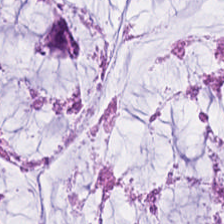H&E.
Predominant tissue — extracellular mucin.
